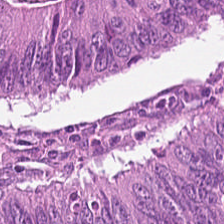Q: Classify this patch.
A: The field shows colorectal adenocarcinoma epithelium.
